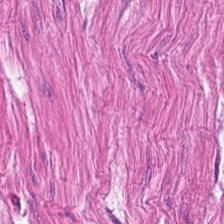Hematoxylin-and-eosin stained section. 224×224 px patch. 0.5 µm per pixel — The predominant tissue is muscularis.
